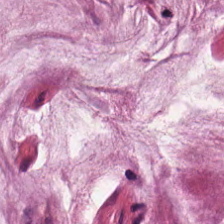224×224 pixel tile · H&E — Extracellular mucin.
